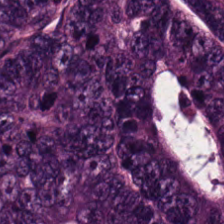H&E-stained tissue section. Tissue type — tumor epithelium.
